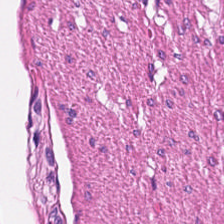This patch shows smooth-muscle tissue.
